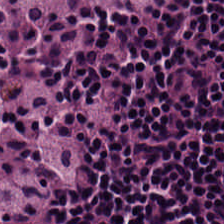0.5 µm/px · H&E-stained tissue section — Q: What type of tissue is this?
A: This is lymphocytic infiltrate.
